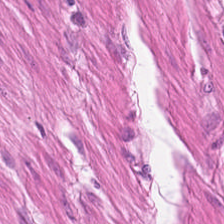Stain: H&E stain.
Tissue type: smooth-muscle tissue.
